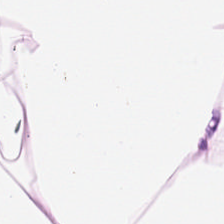Hematoxylin and eosin.
Predominantly adipose.
